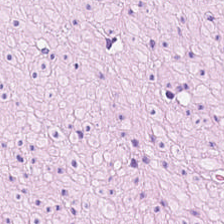The tissue type is smooth muscle.
